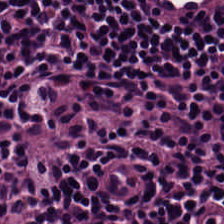H&E — Q: What tissue type is shown here?
A: Lymphocyte aggregate.
